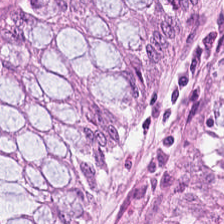H&E-stained tissue section.
The tissue here is normal colonic mucosa.
